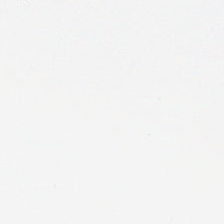This field is background (no tissue).
